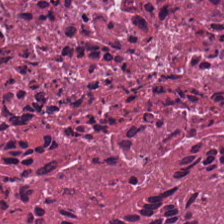Showing cellular debris.
